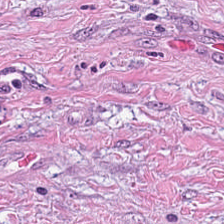FFPE tissue section. Hematoxylin-and-eosin stained section. 224×224 px patch. Tissue = cancer-associated stroma.
